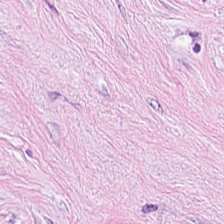224×224 px patch. Hematoxylin and eosin — Finding — cancer-associated stroma.
